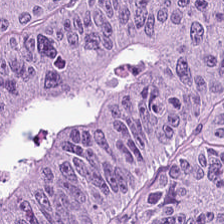Stain: hematoxylin-and-eosin stained section.
Tile size: 224×224 pixel tile.
Classification: malignant epithelium.
